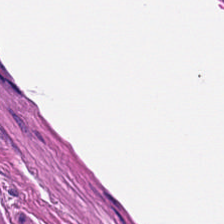H&E-stained tissue section; FFPE. Classification = smooth-muscle tissue.
